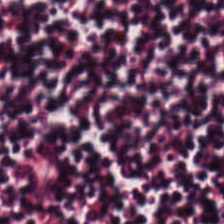224×224 px patch · H&E — Tissue class — lymphocytes.
